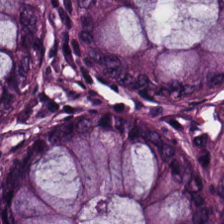H&E stain. Q: What is the predominant tissue type?
A: It is normal colon mucosa.
